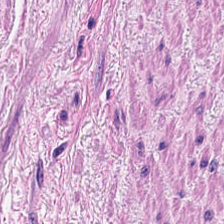Hematoxylin and eosin. 20× equivalent magnification. Brightfield — Impression → smooth-muscle tissue.
